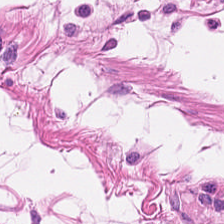FFPE tissue section · hematoxylin-and-eosin stained section — This field is smooth muscle.
